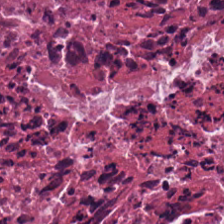Hematoxylin and eosin; brightfield; 224×224 px patch.
Finding → debris.
